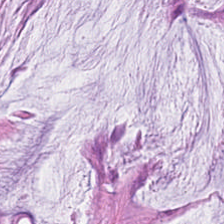Classification: mucin.
